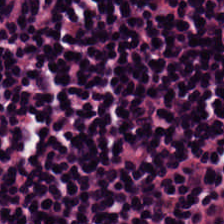Hematoxylin and eosin.
The predominant tissue is lymphocytes.
